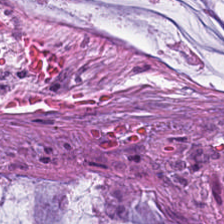Histology → mucus.
